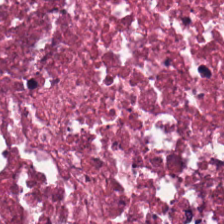H&E stain — Predominantly cellular debris.
